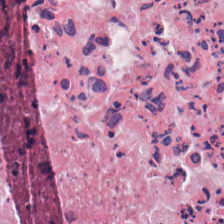Hematoxylin and eosin.
Necrotic debris.
